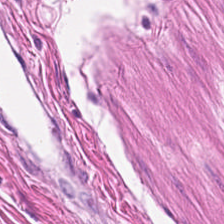H&E-stained section; the field shows smooth-muscle tissue.
